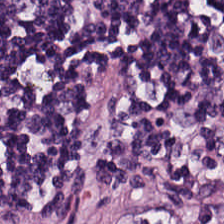Hematoxylin and eosin.
Q: What is shown in this field?
A: The field shows lymphoid infiltrate.
